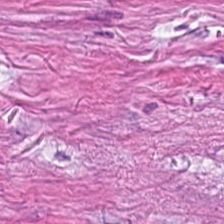Hematoxylin-and-eosin stained section.
Histology — desmoplastic stroma.
